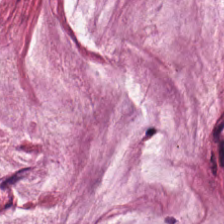WSI patch; H&E stain; 224×224 px patch — Mucus.
